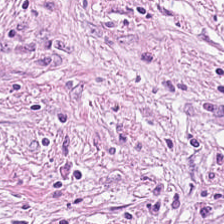Stain: H&E-stained tissue section.
Acquisition: brightfield.
Classification: tumor-associated stroma.
